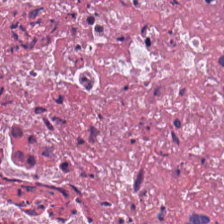224×224 px tile · H&E stain · brightfield microscopy.
Tissue = debris.
